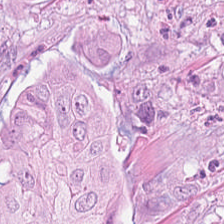WSI patch; H&E-stained tissue section; 0.5 µm per pixel — Tumor epithelium.
